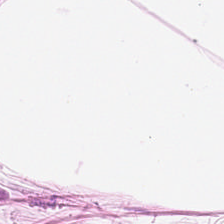WSI patch. Hematoxylin-and-eosin stained section.
The tissue type is adipocytes.
